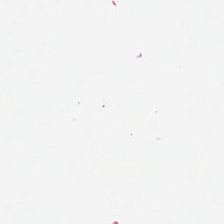Hematoxylin and eosin.
Classification — background (no tissue).
